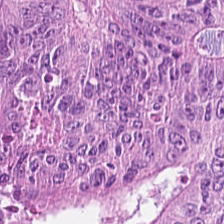Q: What is shown here?
A: The field shows malignant epithelium.
